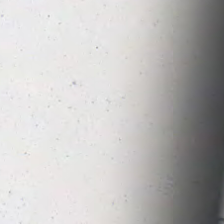Histology — background.
